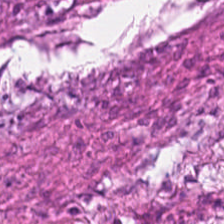Hematoxylin and eosin — The predominant tissue is tumor stroma.
